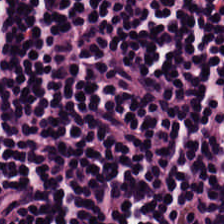224×224 px tile. H&E-stained tissue section — Lymphocytic infiltrate.
